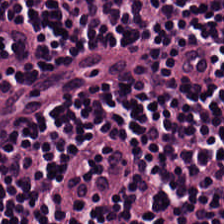H&E-stained tissue section — Impression → lymphocytes.
